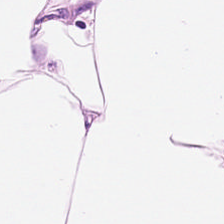Tissue type = adipose tissue.
